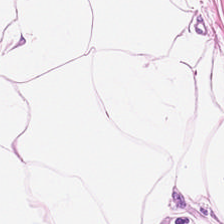Hematoxylin-and-eosin stained section. 224×224 px tile. 0.5 µm per pixel.
Showing fat tissue.
